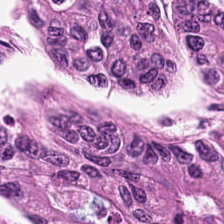224×224 pixel tile · H&E — Q: What is shown here?
A: Tumor epithelium.
